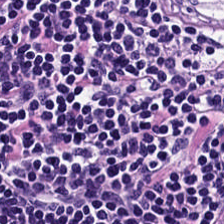Tissue = lymphocytic infiltrate.
